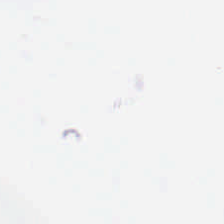Brightfield microscopy · hematoxylin-and-eosin stained section — Q: Classify this patch.
A: This is background (no tissue).
